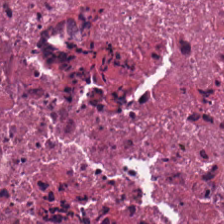H&E. Impression → cellular debris.
